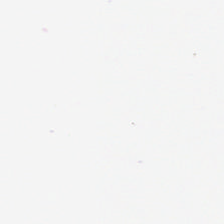Formalin-fixed paraffin-embedded section. H&E-stained tissue section. Finding — empty background.
